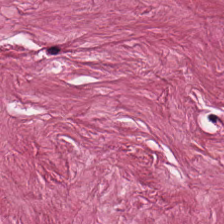Tumor stroma.
